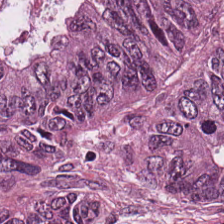Hematoxylin-and-eosin stained section. Showing tumor epithelium.
